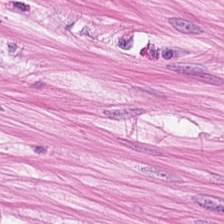H&E — {"tissue_type": "muscularis"}
